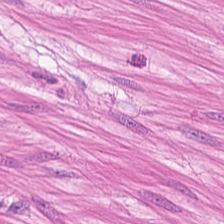Hematoxylin-and-eosin stained section.
Histology → smooth-muscle tissue.
